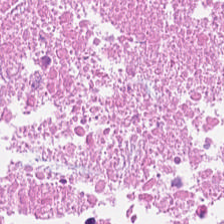Tissue: necrotic debris.
